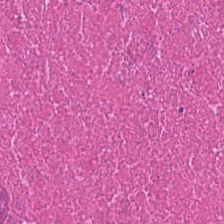Histology — cellular debris.
